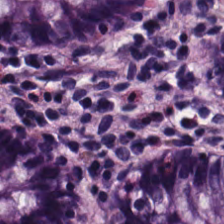H&E stain · whole-slide-image patch — The tissue here is normal colon mucosa.
